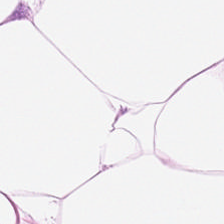H&E stain; 0.5 microns per pixel — The tissue type is fat tissue.
